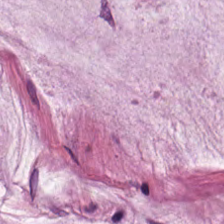Hematoxylin and eosin — This field is mucin.
